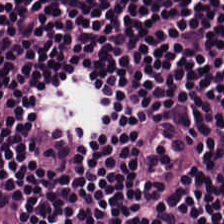Tissue = lymphocyte aggregate.
